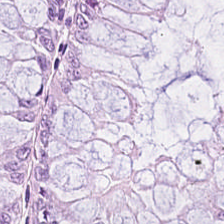Predominant tissue = normal colonic mucosa.
